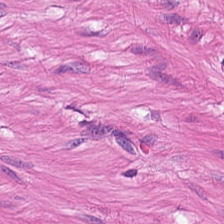224×224 px tile · H&E — {"tissue_type": "muscularis"}
